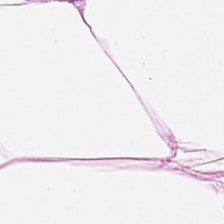0.5 µm per pixel · H&E stain — Predominant tissue: adipocytes.
